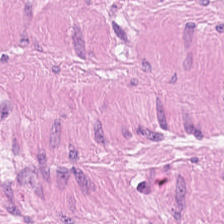The classification is muscularis.
